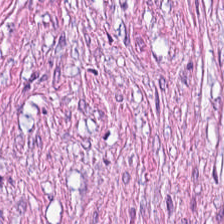Stain: H&E-stained tissue section.
Acquisition: brightfield.
Tile size: 224×224 px tile.
Tissue class: desmoplastic stroma.
